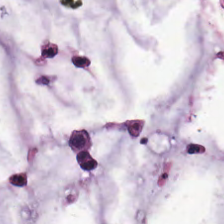Tissue — extracellular mucin.
